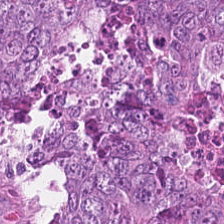Predominant tissue — tumor epithelium.
